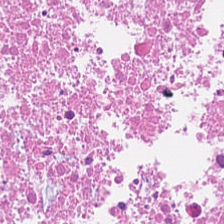224×224 px tile; hematoxylin and eosin.
Q: What type of tissue is this?
A: This is cellular debris.
